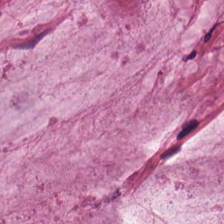Hematoxylin-and-eosin section: mucin.
